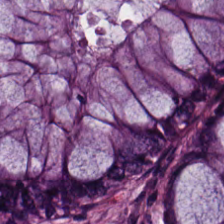Formalin-fixed paraffin-embedded section; 224×224 px tile; hematoxylin-and-eosin stained section — Impression — non-neoplastic colon mucosa.
